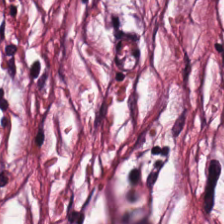H&E-stained tissue section.
{"tissue_type": "desmoplastic stroma"}
